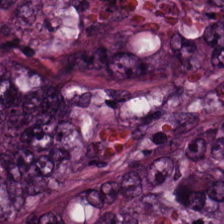H&E-stained tissue section; 224×224 px tile.
{"tissue_type": "colorectal adenocarcinoma epithelium"}
